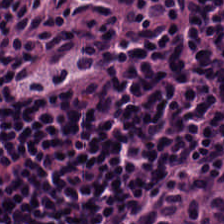Stain: H&E-stained tissue section.
Classification: lymphocytic infiltrate.
